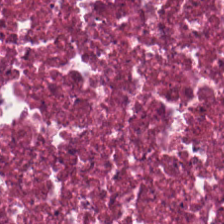H&E-stained tissue section · FFPE.
Q: What is the predominant tissue type?
A: It is cellular debris.
